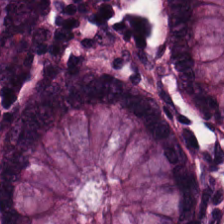H&E. The tissue class is non-neoplastic colon mucosa.
